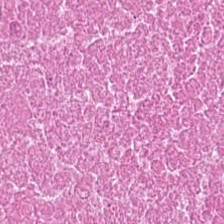Stain: hematoxylin and eosin.
Preparation: formalin-fixed paraffin-embedded section.
Classification: necrotic debris.
